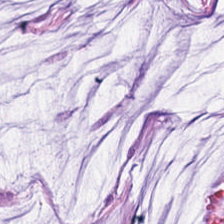H&E — extracellular mucin.
